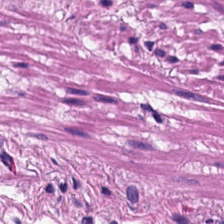H&E-stained tissue section.
The tissue here is smooth muscle.
